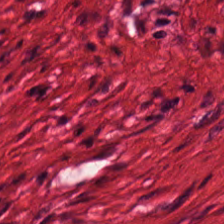Hematoxylin and eosin. Predominantly muscularis.
